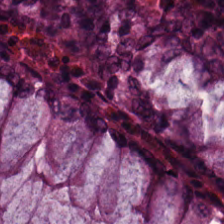Stain: H&E stain.
Preparation: formalin-fixed paraffin-embedded section.
Resolution: 0.5 microns per pixel.
Predominant tissue: non-neoplastic colon mucosa.
